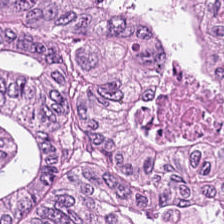H&E.
Tissue — adenocarcinoma.
